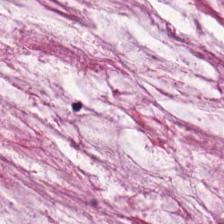Hematoxylin-and-eosin stained section. FFPE. Brightfield microscopy. Tissue class: extracellular mucin.
